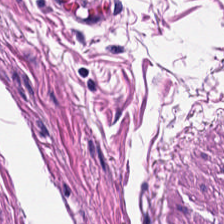Stain: hematoxylin-and-eosin stained section.
Classification: muscularis.
